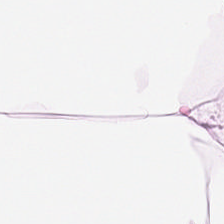H&E — The tissue type is adipose tissue.
